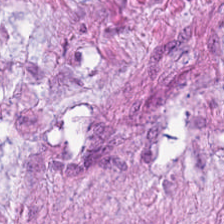H&E. Tissue class — smooth-muscle tissue.
